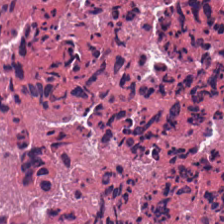Formalin-fixed paraffin-embedded section; H&E-stained tissue section.
{"tissue_type": "debris"}
